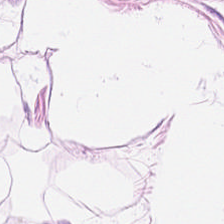0.5 µm per pixel; H&E stain — Tissue class = adipose.
